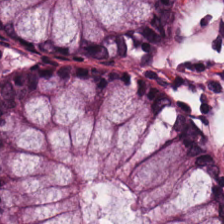H&E — Q: What type of tissue is this?
A: It is normal colon mucosa.
